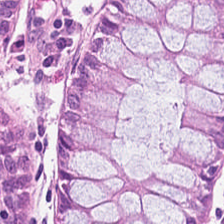Q: What is shown in this field?
A: Normal colonic mucosa.
